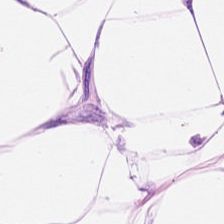Hematoxylin and eosin — Q: What is shown in this field?
A: This is adipose tissue.
